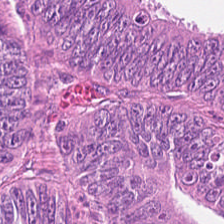224×224 px tile · brightfield · H&E.
The predominant tissue is colorectal adenocarcinoma.
